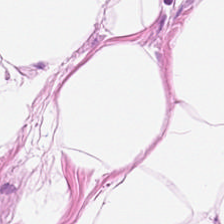Q: What type of tissue is this?
A: The field shows fat tissue.
